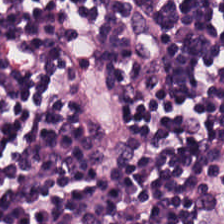H&E stain. 0.5 microns per pixel. 224×224 px tile. Q: What is shown in this field?
A: This is lymphocyte aggregate.
